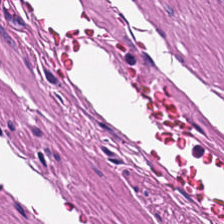Stain: hematoxylin-and-eosin stained section.
Acquisition: brightfield microscopy.
Resolution: 20× equivalent magnification.
Tissue: smooth-muscle tissue.
